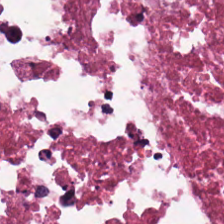Hematoxylin-and-eosin stained section.
The tissue here is necrotic debris.
